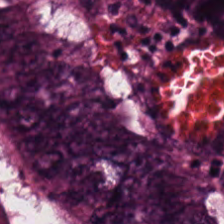H&E.
Tissue — malignant epithelium.
